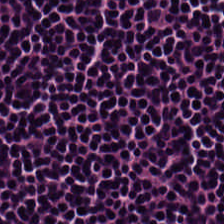H&E-stained tissue section — This field is lymphocytes.
